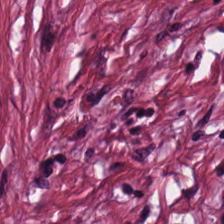H&E-stained tissue section.
{"tissue_type": "desmoplastic stroma"}
